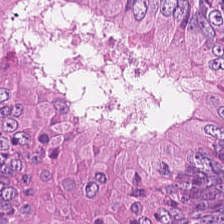Hematoxylin and eosin — Predominantly malignant epithelium.
